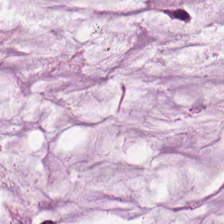Stain: H&E.
Predominant tissue: extracellular mucin.
